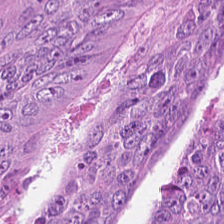H&E-stained tissue section · brightfield. The tissue is malignant epithelium.
